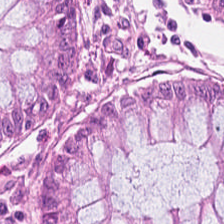H&E; FFPE; 224×224 px tile. Impression — normal colon mucosa.
